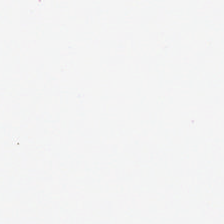H&E.
Q: What is shown here?
A: It is background.
